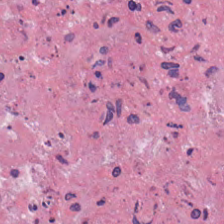H&E-stained tissue section; formalin-fixed paraffin-embedded section; brightfield. Impression — debris.
